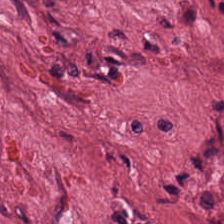FFPE; hematoxylin and eosin — Q: What is shown here?
A: Desmoplastic stroma.
